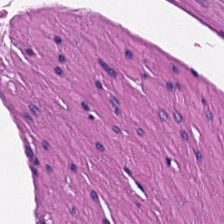This field is smooth-muscle tissue.
